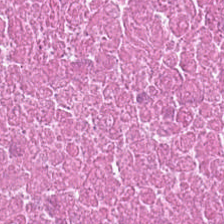Hematoxylin and eosin — Q: Identify the tissue.
A: It is cellular debris.
